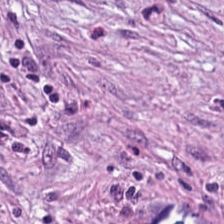224×224 px tile; H&E stain. Finding — cancer-associated stroma.
